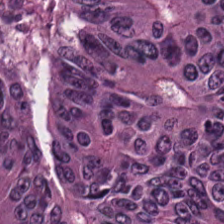FFPE tissue section · H&E stain — Finding — colorectal adenocarcinoma.
